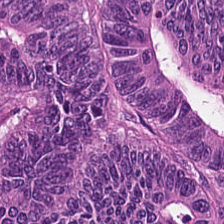H&E; 0.5 µm/px. {"tissue_type": "tumor epithelium"}
